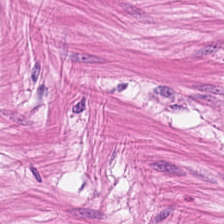Hematoxylin-and-eosin stained section · 224×224 px patch. Predominantly smooth muscle.
